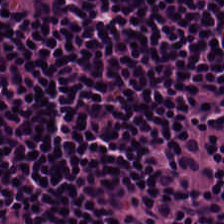224×224 px patch · hematoxylin and eosin.
This field is lymphoid infiltrate.
